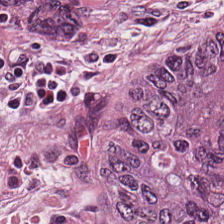Q: What tissue is shown?
A: It is adenocarcinoma.
